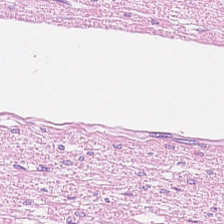Hematoxylin and eosin. {"tissue_type": "smooth-muscle tissue"}
